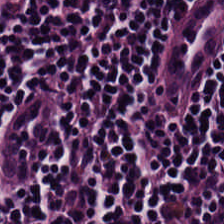Stain: H&E.
Tissue: lymphocyte aggregate.
